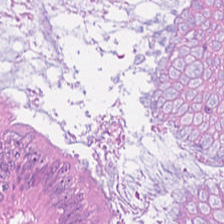Hematoxylin and eosin; FFPE.
Q: What is the predominant tissue type?
A: This is colorectal adenocarcinoma epithelium.
